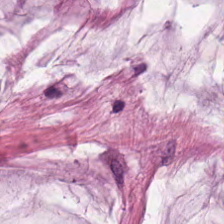The predominant tissue is mucin.
